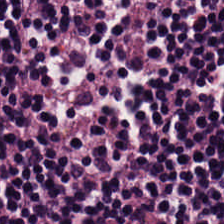The tissue class is lymphoid infiltrate.
